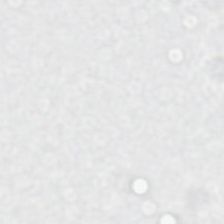20× equivalent magnification; H&E. The classification is empty background.
